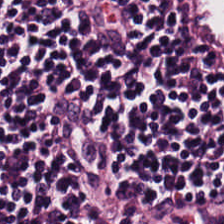Hematoxylin-and-eosin stained section. This field is lymphoid infiltrate.
